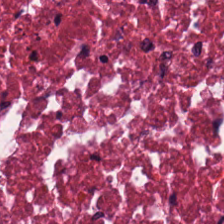H&E-stained tissue section.
Tissue class = debris.
